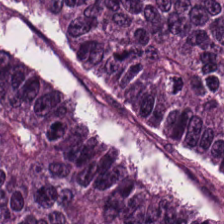Impression → colorectal adenocarcinoma epithelium.
